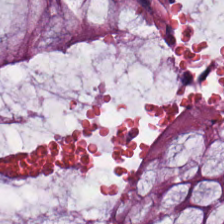Tissue class — benign colonic mucosa.
